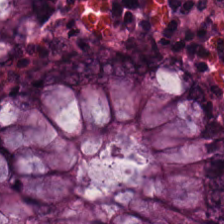Predominantly normal colonic mucosa.
